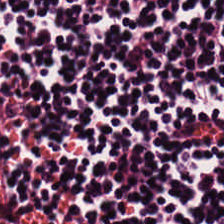H&E.
{"tissue_type": "lymphocyte aggregate"}
